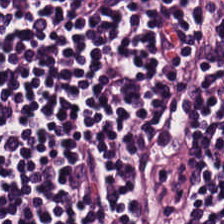H&E. Q: What does this patch show?
A: Lymphocytic infiltrate.
